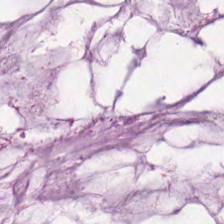Q: What is shown here?
A: It is mucus.
